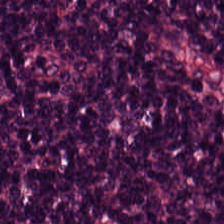Formalin-fixed paraffin-embedded section · H&E stain. The predominant tissue is lymphocyte aggregate.
